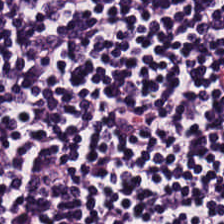H&E — Q: What is shown here?
A: The field shows lymphocyte aggregate.
